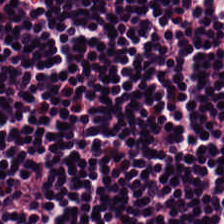0.5 µm/px · hematoxylin and eosin — Showing lymphoid infiltrate.
